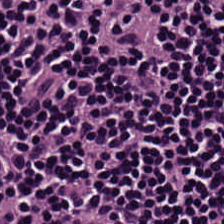Formalin-fixed paraffin-embedded section. Whole-slide-image patch. Hematoxylin-and-eosin stained section.
This field is lymphoid infiltrate.
